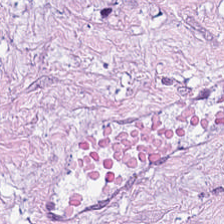Hematoxylin-and-eosin section: desmoplastic stroma.
